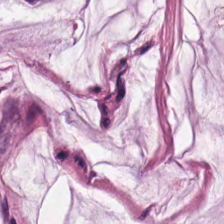WSI patch; hematoxylin and eosin. This field is mucus.
